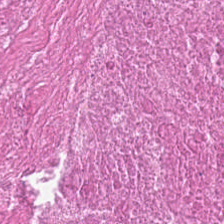224×224 px tile; hematoxylin-and-eosin stained section.
Tissue — cellular debris.
